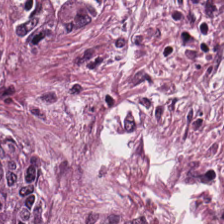0.5 microns per pixel. Hematoxylin-and-eosin stained section — Predominant tissue: colorectal adenocarcinoma.
